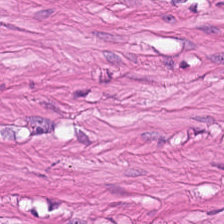Stain: H&E.
Tissue class: smooth-muscle tissue.
